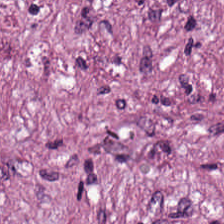Stain: H&E stain.
Tile size: 224×224 pixel tile.
Classification: cancer-associated stroma.
